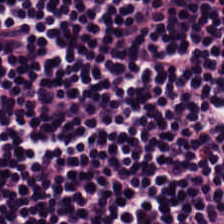Stain: H&E-stained tissue section.
Preparation: FFPE tissue section.
Acquisition: brightfield microscopy.
Tissue: lymphoid infiltrate.
